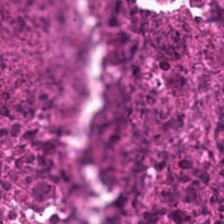Stain: H&E stain.
Preparation: FFPE tissue section.
Predominant tissue: debris.
